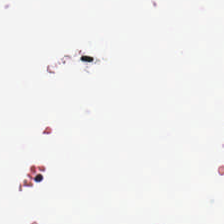FFPE tissue section; hematoxylin-and-eosin stained section.
Field content: no tissue.
